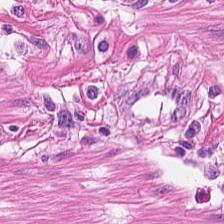Tissue class = smooth-muscle tissue.
